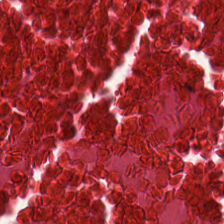H&E.
Finding — cellular debris.
